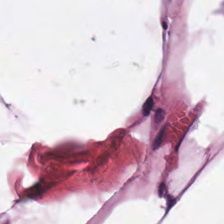Impression — adipocytes.
